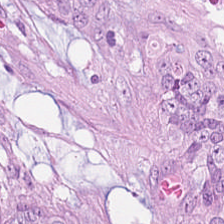Hematoxylin-and-eosin stained section. {"tissue_type": "colorectal adenocarcinoma"}
